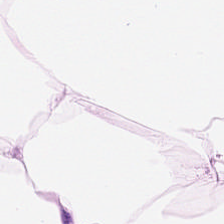H&E stain.
Predominantly fat tissue.
